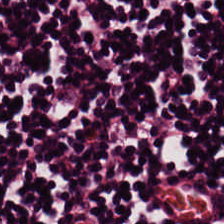H&E stain — Q: What type of tissue is this?
A: Lymphoid infiltrate.
